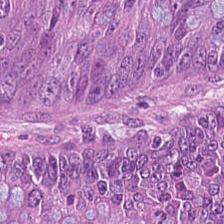H&E stain. Showing adenocarcinoma.
